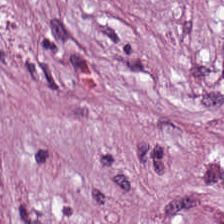H&E. Tissue type: cancer-associated stroma.
